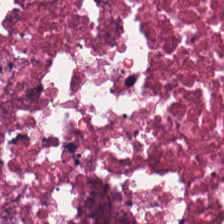H&E-stained tissue section — {"tissue_type": "debris"}
